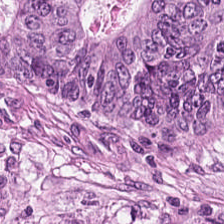Predominant tissue = malignant epithelium.
